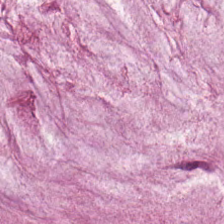Stain: H&E stain.
Tissue type: mucus.
